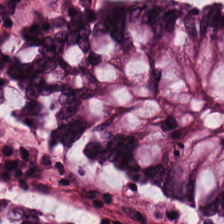H&E — Normal colonic mucosa.
